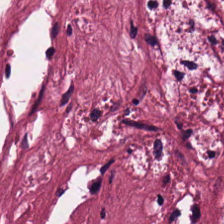Finding → desmoplastic stroma.
